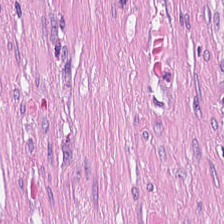{"tissue_type": "tumor-associated stroma"}
